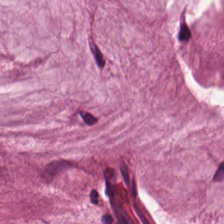Hematoxylin-and-eosin stained section. Showing extracellular mucin.
